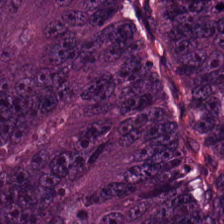Hematoxylin and eosin — This patch shows adenocarcinoma.
